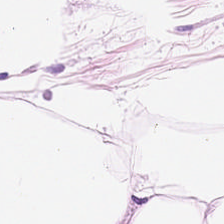Hematoxylin and eosin — Showing fat tissue.
